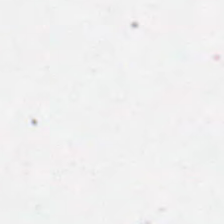Stain: H&E.
Field content: background.
